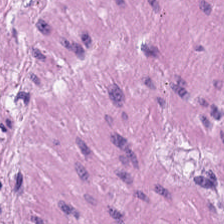FFPE tissue section. H&E. Predominant tissue = muscularis.
